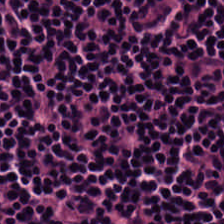Hematoxylin-and-eosin section: lymphocyte aggregate.
